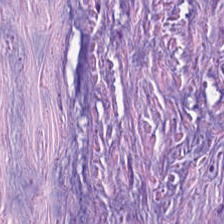Hematoxylin and eosin.
This field is desmoplastic stroma.
